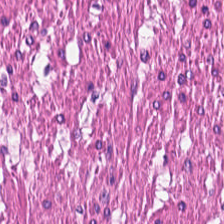H&E-stained section; the field shows smooth-muscle tissue.
